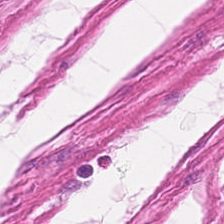Impression — smooth-muscle tissue.
